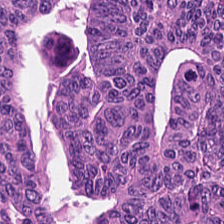WSI patch · hematoxylin and eosin · 224×224 px tile. Impression → tumor epithelium.
